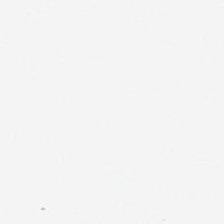H&E-stained tissue section.
Field content: background.
